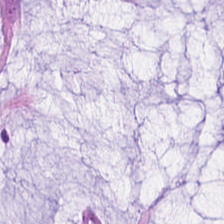Hematoxylin-and-eosin section: mucus.
